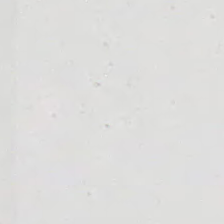H&E-stained tissue section — Empty field — empty background.
